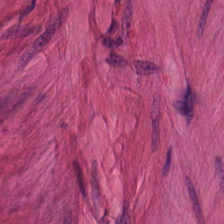H&E stain.
The tissue here is muscularis.
